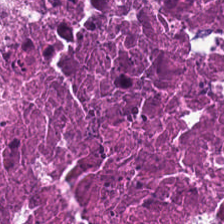Stain: H&E-stained tissue section.
Predominant tissue: cellular debris.
